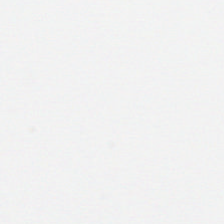H&E. Classification: background (no tissue).
